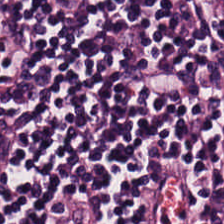H&E-stained tissue section.
This patch shows lymphoid infiltrate.
